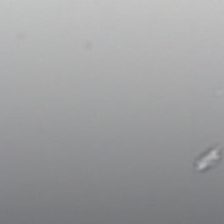H&E. Classification — empty background.
